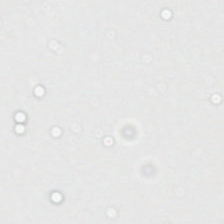Q: Classify this patch.
A: Background (no tissue).
